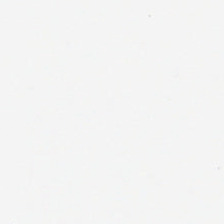Background — no tissue in this field.
